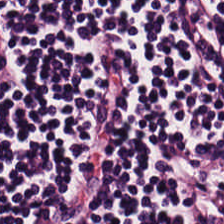FFPE; hematoxylin-and-eosin stained section; 20× equivalent magnification. Q: What type of tissue is this?
A: The field shows lymphocytes.
